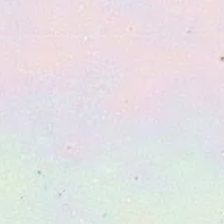Background — no tissue in this field.
